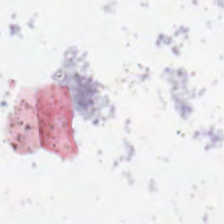H&E-stained tissue section. Finding → background.
